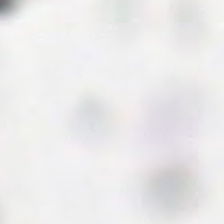H&E-stained tissue section. Empty field — background (no tissue).
